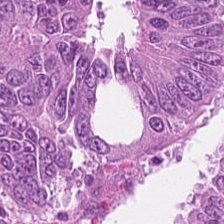FFPE tissue section; hematoxylin and eosin; brightfield — Tissue class = adenocarcinoma.
